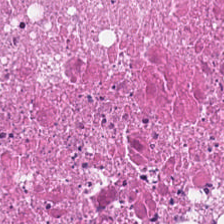H&E stain.
Histology — necrotic debris.
